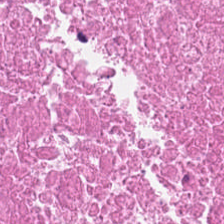Hematoxylin and eosin.
Predominantly necrotic debris.
